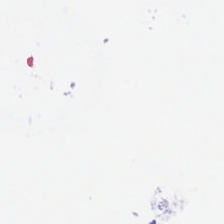Impression → background (no tissue).
